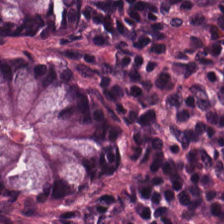H&E-stained tissue section. Showing normal colon mucosa.
